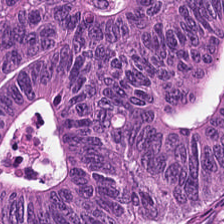Tissue class — tumor epithelium.
